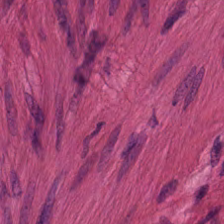H&E-stained tissue section.
Q: Classify this patch.
A: The field shows muscularis.
